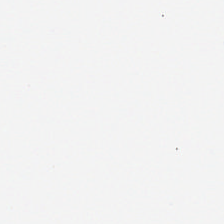H&E stain — Q: What is shown in this field?
A: Empty background.
